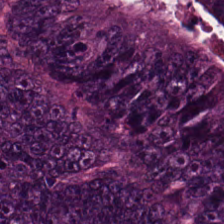Stain: hematoxylin-and-eosin stained section.
Tissue class: tumor epithelium.
